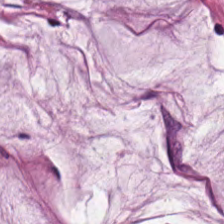Stain: hematoxylin-and-eosin stained section.
Tissue type: mucus.
